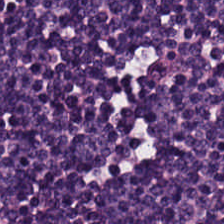Formalin-fixed paraffin-embedded section · H&E — Showing lymphocytes.
